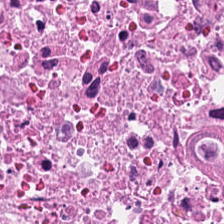0.5 microns per pixel; hematoxylin-and-eosin stained section.
Q: Classify this patch.
A: This is cellular debris.
